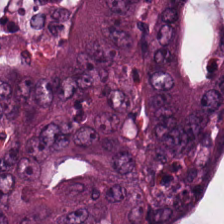H&E-stained tissue section · 224×224 px tile.
This field is adenocarcinoma.
